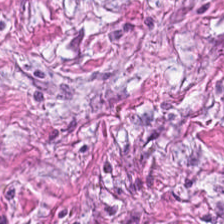Stain: H&E-stained tissue section.
Tile size: 224×224 px tile.
Resolution: 20× equivalent magnification.
Tissue type: cancer-associated stroma.
